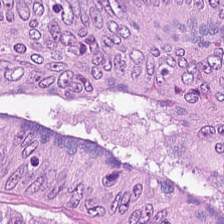Stain: H&E.
Preparation: FFPE tissue section.
Classification: colorectal adenocarcinoma epithelium.
